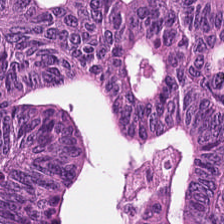H&E — colorectal adenocarcinoma epithelium.
